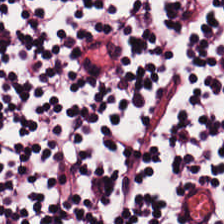Hematoxylin and eosin. FFPE. 20× equivalent magnification — Finding — lymphocytic infiltrate.
